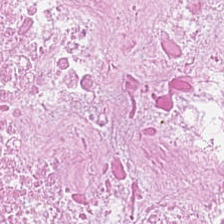Tissue type = necrotic debris.
